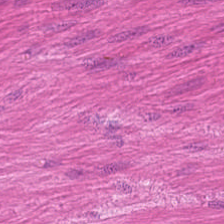Hematoxylin and eosin. This patch shows smooth-muscle tissue.
